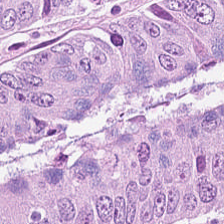Stain: H&E-stained tissue section.
Preparation: FFPE tissue section.
Tissue class: tumor epithelium.
